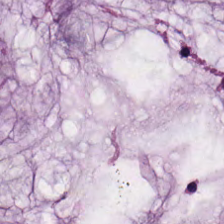Hematoxylin-and-eosin stained section.
This field is mucin.
